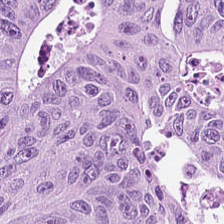Brightfield microscopy · hematoxylin-and-eosin stained section · 224×224 pixel tile. Predominantly tumor epithelium.
